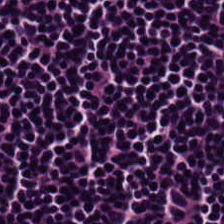Q: What type of tissue is this?
A: Lymphocytic infiltrate.
